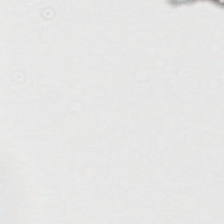Field content: empty background.
